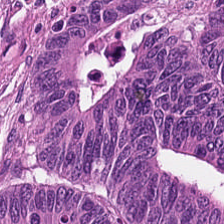H&E stain; brightfield microscopy. The tissue is colorectal adenocarcinoma epithelium.
